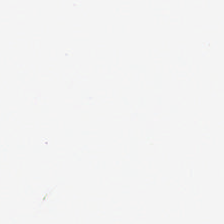224×224 pixel tile. FFPE. H&E-stained tissue section — Background — no tissue in this field.
